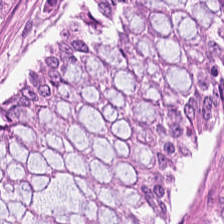Brightfield microscopy · H&E-stained tissue section.
This patch shows normal colon mucosa.
